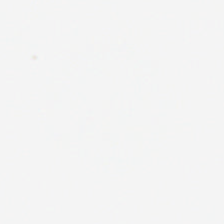Hematoxylin and eosin; 0.5 µm/px — This field is background (no tissue).
